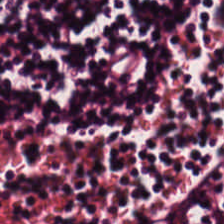Hematoxylin and eosin. The tissue here is lymphocyte aggregate.
